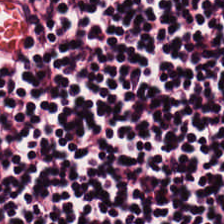Stain: hematoxylin-and-eosin stained section.
Preparation: FFPE tissue section.
Tissue class: lymphocytic infiltrate.
